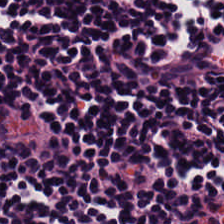The predominant tissue is lymphoid infiltrate.
